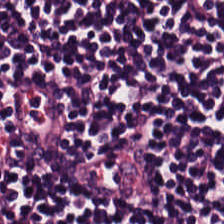{"tissue_type": "lymphoid infiltrate"}
